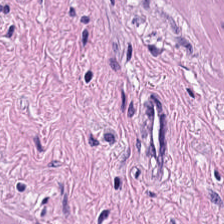224×224 px tile; H&E stain.
The predominant tissue is muscularis.
